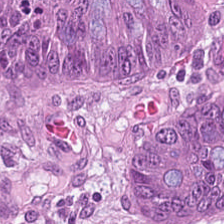H&E stain · 20× equivalent magnification · FFPE tissue section — Tissue type: tumor epithelium.
